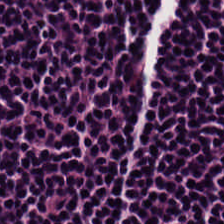Impression → lymphocytic infiltrate.
